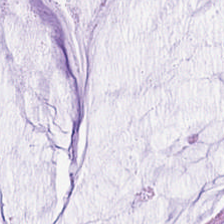Stain: H&E-stained tissue section.
Tissue: mucus.
